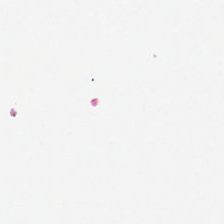Hematoxylin-and-eosin stained section — This patch shows background.
